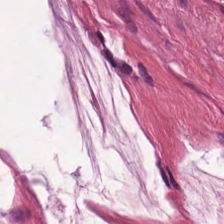WSI patch · H&E-stained tissue section.
The predominant tissue is mucin.
